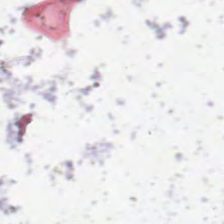Stain: H&E stain.
Resolution: 0.5 µm per pixel.
Field content: background (no tissue).
